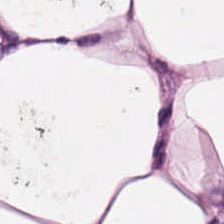Classification = adipose.
